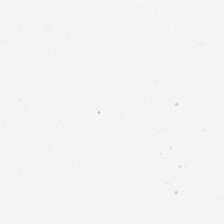{"content": "background"}
